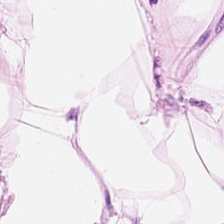FFPE tissue section; 0.5 µm/px; hematoxylin-and-eosin stained section — Showing fat tissue.
